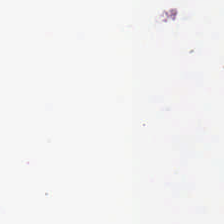H&E stain — Field content — background (no tissue).
